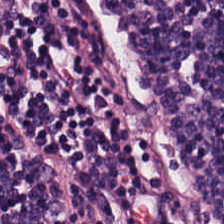Brightfield microscopy; H&E; 0.5 microns per pixel. This field is lymphocytes.
